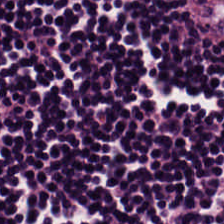0.5 µm per pixel · H&E-stained tissue section.
This field is lymphocytic infiltrate.
